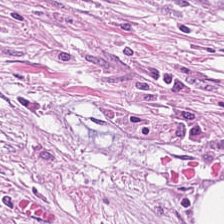Hematoxylin-and-eosin stained section — Finding — cancer-associated stroma.
